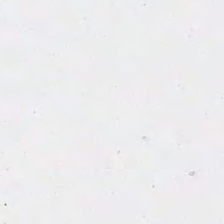Hematoxylin-and-eosin stained section · 224×224 px patch — The field content is background (no tissue).
